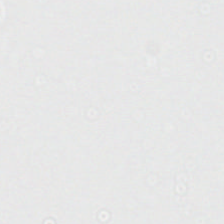Hematoxylin-and-eosin stained section — Classification: no tissue.
